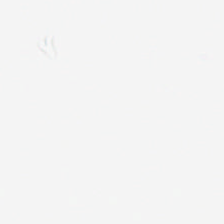Histology — background (no tissue).
